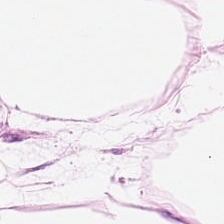Stain: H&E.
Tissue: adipose tissue.
